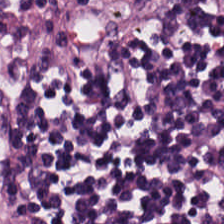WSI patch. Hematoxylin and eosin.
Q: What is the predominant tissue type?
A: It is lymphocyte aggregate.
